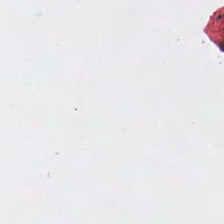H&E stain.
This field is background (no tissue).
